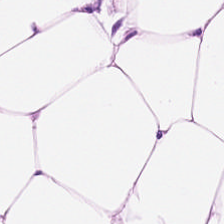H&E stain; brightfield microscopy; 0.5 µm per pixel — Showing fat tissue.
